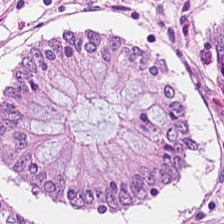Predominant tissue — normal colon mucosa.
